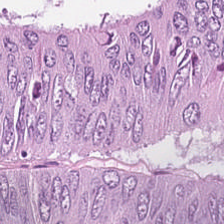224×224 px patch; FFPE tissue section; H&E — The tissue here is adenocarcinoma.
